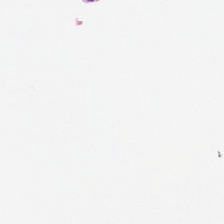Impression → empty background.
